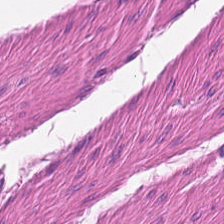H&E stain. 0.5 microns per pixel. 224×224 px patch — The predominant tissue is muscularis.
